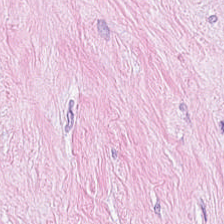Finding — tumor stroma.
